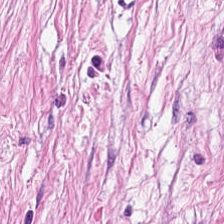Hematoxylin-and-eosin stained section. 0.5 microns per pixel. 224×224 px tile — The tissue is desmoplastic stroma.
